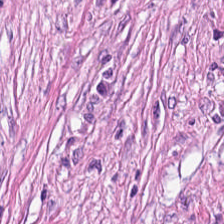0.5 µm per pixel · hematoxylin-and-eosin stained section — Tissue = tumor stroma.
